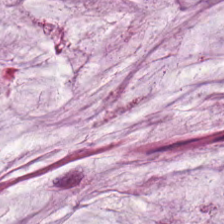H&E stain.
Classification = extracellular mucin.
